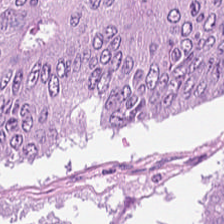H&E-stained tissue section.
{"tissue_type": "colorectal adenocarcinoma"}
